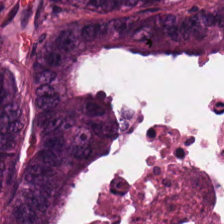H&E. Showing tumor epithelium.
